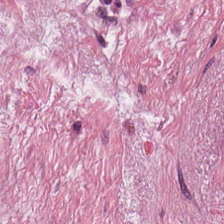Stain: H&E-stained tissue section.
Tile size: 224×224 px patch.
Tissue: desmoplastic stroma.
